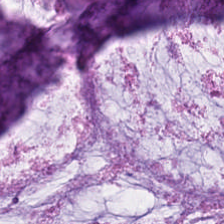20× equivalent magnification · 224×224 px tile · hematoxylin-and-eosin stained section.
The predominant tissue is mucin.
